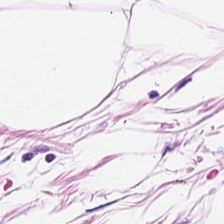H&E stain; 224×224 px tile; 0.5 µm/px.
Predominant tissue = adipose.
